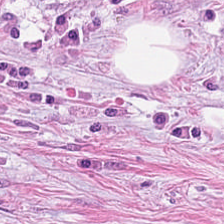Hematoxylin-and-eosin stained section; FFPE; 224×224 pixel tile — Tumor stroma.
